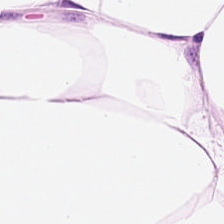Tissue type = adipose.
